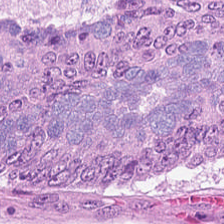H&E stain — Predominant tissue — adenocarcinoma.
